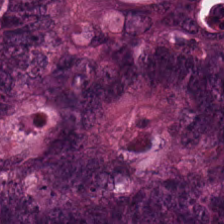Tissue class — colorectal adenocarcinoma.
